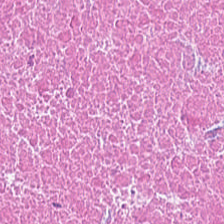Stain: hematoxylin and eosin.
Classification: debris.
